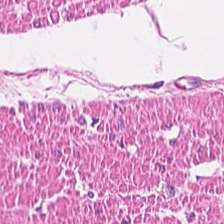Hematoxylin-and-eosin stained section · 0.5 µm/px.
Classification: smooth-muscle tissue.
